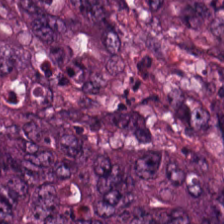224×224 pixel tile · H&E stain. The tissue here is tumor epithelium.
